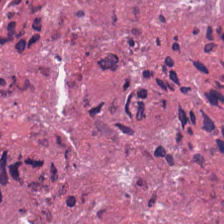Stain: hematoxylin and eosin.
Classification: cellular debris.
